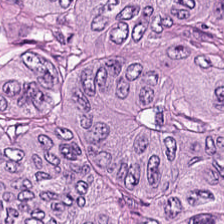Hematoxylin-and-eosin stained section. 20× equivalent magnification. FFPE tissue section — Q: What is shown here?
A: Colorectal adenocarcinoma.
